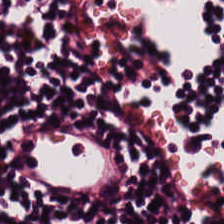Stain: H&E.
Tissue: lymphoid infiltrate.
